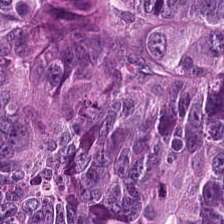Stain: H&E stain.
Classification: colorectal adenocarcinoma.
